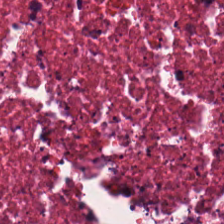H&E-stained tissue section showing debris.
